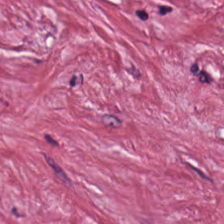FFPE. 224×224 px tile. Hematoxylin-and-eosin stained section. {"tissue_type": "tumor-associated stroma"}
